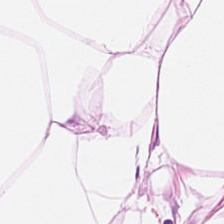H&E stain. Predominantly adipose tissue.
